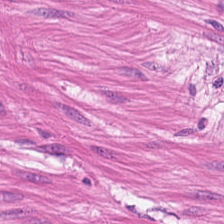Histology → smooth muscle.
